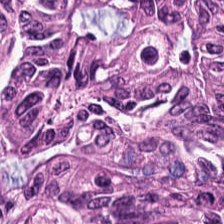H&E-stained tissue section — The tissue here is tumor epithelium.
